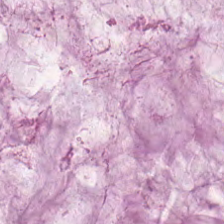0.5 µm/px; hematoxylin-and-eosin stained section.
This patch shows mucus.
